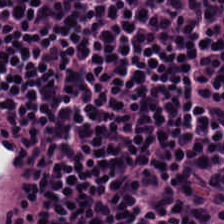H&E stain · brightfield. Q: What tissue is shown?
A: This is lymphocyte aggregate.
